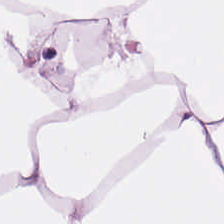Whole-slide-image patch. H&E-stained tissue section — {"tissue_type": "fat tissue"}
